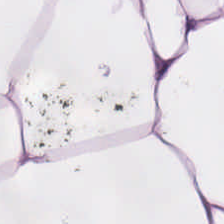This patch shows fat tissue.
